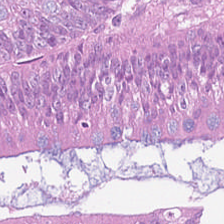Hematoxylin and eosin.
Malignant epithelium.
